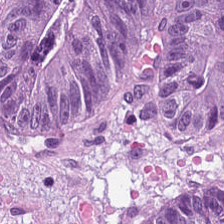Tissue class: colorectal adenocarcinoma.
